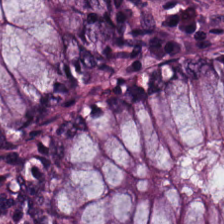H&E stain — This field is benign colonic mucosa.
